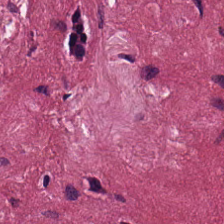H&E; FFPE tissue section — Predominant tissue: desmoplastic stroma.
